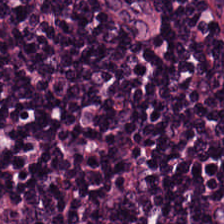H&E — Q: What type of tissue is this?
A: The field shows lymphocytic infiltrate.
